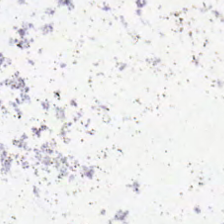FFPE; whole-slide-image patch; H&E stain — Q: What is shown in this field?
A: This is empty background.
